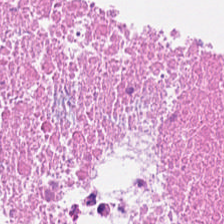FFPE tissue section; 20× equivalent magnification; H&E stain.
Showing cellular debris.
